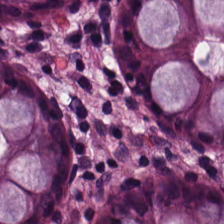Hematoxylin and eosin · 0.5 µm per pixel. Predominant tissue = benign colonic mucosa.
